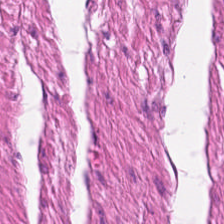H&E stain — The predominant tissue is smooth muscle.
